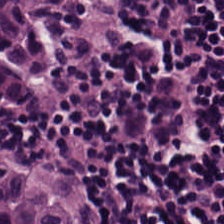FFPE · brightfield · hematoxylin and eosin. Predominantly lymphoid infiltrate.
